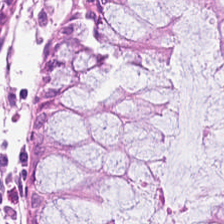Hematoxylin and eosin.
The tissue here is normal colonic mucosa.
